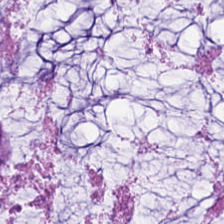H&E stain; 224×224 px tile. Q: What is shown here?
A: It is mucus.
